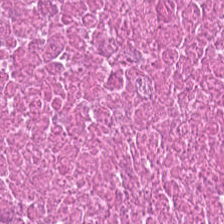Formalin-fixed paraffin-embedded section; H&E stain.
Classification = necrotic debris.
